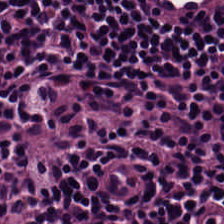224×224 px tile · hematoxylin and eosin.
Tissue type — lymphoid infiltrate.
